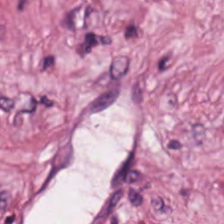224×224 px tile. H&E-stained tissue section.
The tissue is tumor stroma.
